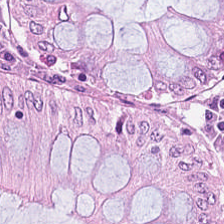Hematoxylin and eosin — Tissue = benign colonic mucosa.
